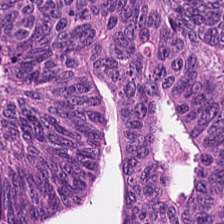H&E; 224×224 px tile; FFPE tissue section — This patch shows colorectal adenocarcinoma.
